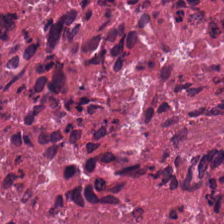Formalin-fixed paraffin-embedded section · H&E — Impression → cellular debris.
